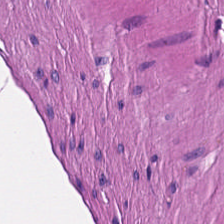Hematoxylin and eosin.
This field is smooth muscle.
